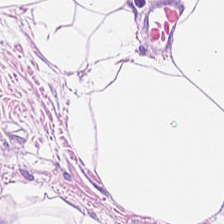224×224 px patch; H&E-stained tissue section.
Tissue type: fat tissue.
